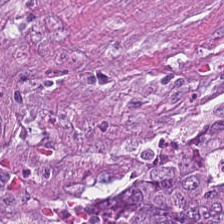224×224 pixel tile · H&E stain.
The classification is malignant epithelium.
